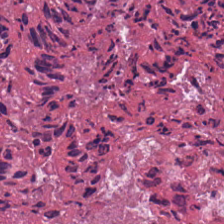H&E — necrotic debris.
